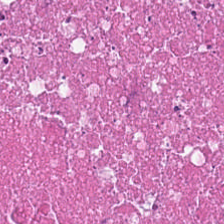Stain: hematoxylin and eosin.
Predominant tissue: cellular debris.
